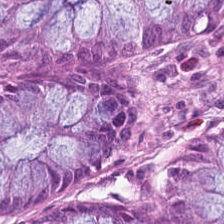WSI patch · hematoxylin-and-eosin stained section. Predominant tissue — normal colonic mucosa.
